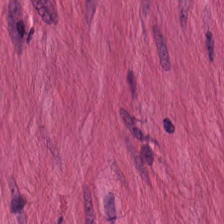Hematoxylin and eosin — Predominant tissue: muscularis.
